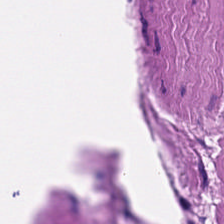Hematoxylin-and-eosin stained section. This patch shows smooth-muscle tissue.
